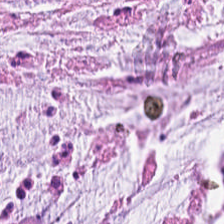Hematoxylin and eosin. WSI patch.
Histology — extracellular mucin.
